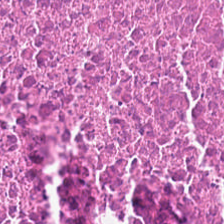H&E-stained tissue section showing necrotic debris.
